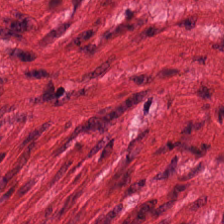FFPE · H&E-stained tissue section.
This patch shows smooth muscle.
